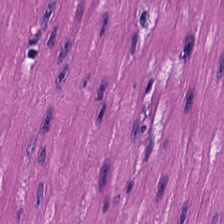H&E-stained tissue section — Smooth-muscle tissue.
